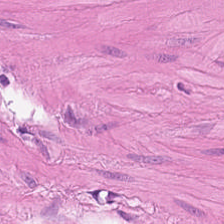Hematoxylin and eosin. 0.5 µm per pixel. Predominantly smooth-muscle tissue.
